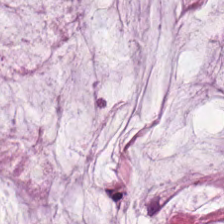FFPE tissue section; H&E stain.
Q: What tissue type is shown here?
A: It is mucus.
